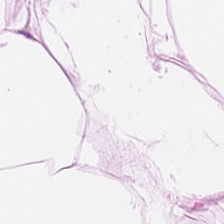H&E · 20× equivalent magnification — Impression — adipocytes.
